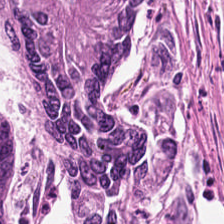Predominant tissue: malignant epithelium.
